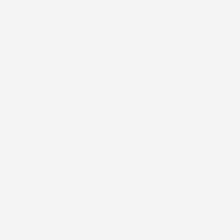Empty background.
